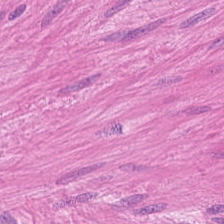H&E stain · FFPE tissue section — Predominantly muscularis.
